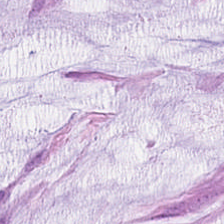This patch shows mucin.
